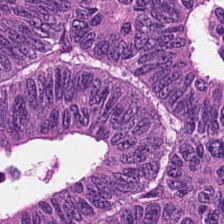Q: What does this patch show?
A: This is tumor epithelium.
